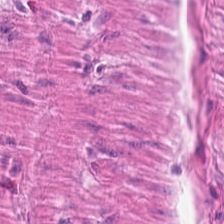H&E-stained tissue section — Showing smooth muscle.
